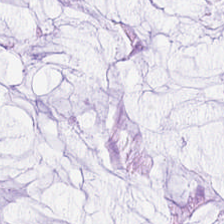Stain: hematoxylin and eosin.
Predominant tissue: mucus.
